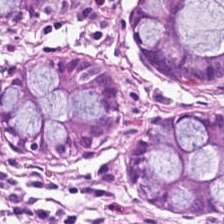Hematoxylin-and-eosin stained section · 20× equivalent magnification.
Normal colonic mucosa.
